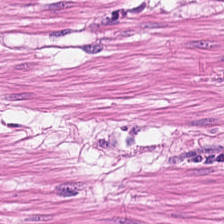H&E. Q: Classify this patch.
A: This is smooth muscle.
